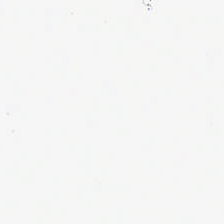This field is background (no tissue).
